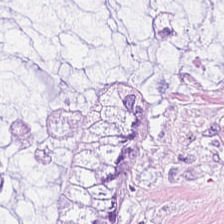The tissue here is mucus.
